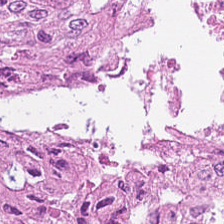Q: What tissue is shown?
A: It is adenocarcinoma.
